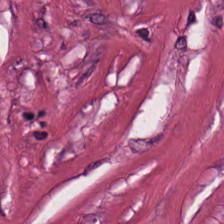Hematoxylin-and-eosin stained section; 224×224 px tile. Q: Classify this patch.
A: This is desmoplastic stroma.
